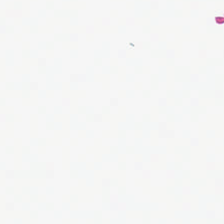H&E stain.
Classification: empty background.
